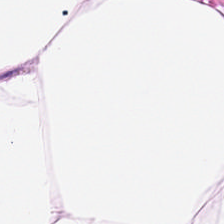Showing adipose tissue.
